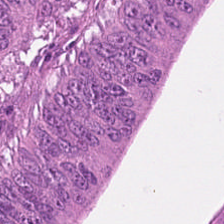Stain: hematoxylin and eosin.
Predominant tissue: tumor epithelium.
